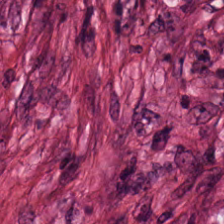Hematoxylin-and-eosin stained section. Classification: cancer-associated stroma.
